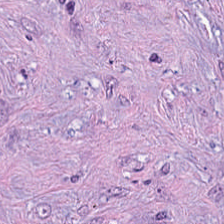H&E-stained tissue section. Finding — tumor stroma.
